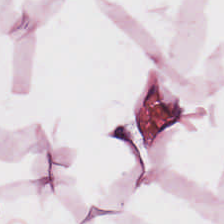Hematoxylin and eosin.
Showing adipose tissue.
